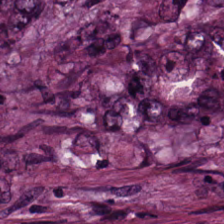Whole-slide-image patch; hematoxylin and eosin.
Tumor epithelium.
